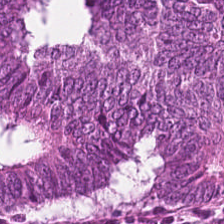H&E-stained tissue section — Q: What tissue is shown?
A: This is tumor epithelium.
